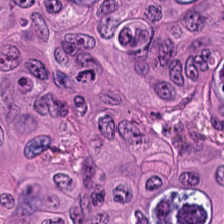Formalin-fixed paraffin-embedded section. Hematoxylin-and-eosin stained section. 0.5 µm per pixel — Q: What tissue type is shown here?
A: Colorectal adenocarcinoma epithelium.
